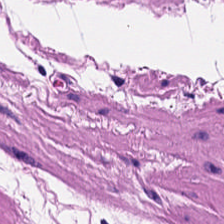H&E.
This field is muscularis.
